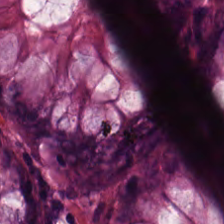H&E-stained tissue section — Q: What tissue type is shown here?
A: The field shows benign colonic mucosa.
